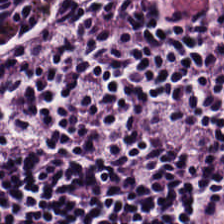224×224 px patch; FFPE; hematoxylin-and-eosin stained section. Classification: lymphoid infiltrate.
